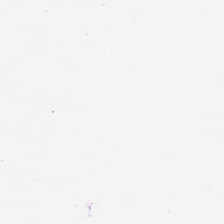WSI patch · hematoxylin and eosin. Empty background.
